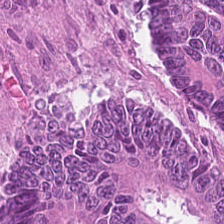H&E-stained tissue section. {"tissue_type": "colorectal adenocarcinoma epithelium"}
